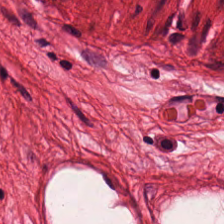H&E stain.
Histology — smooth-muscle tissue.
